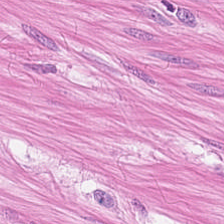Formalin-fixed paraffin-embedded section · H&E stain · WSI patch — Predominantly smooth muscle.
